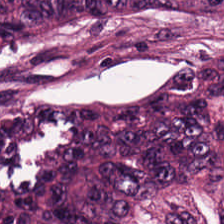Stain: H&E stain.
Tissue: malignant epithelium.
